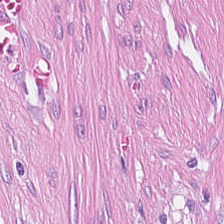Hematoxylin and eosin · whole-slide-image patch.
Classification — tumor stroma.
